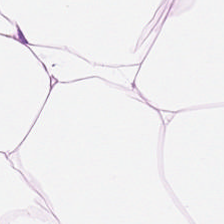Finding — adipocytes.
